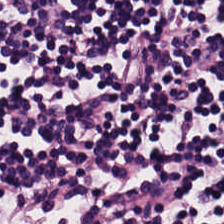Formalin-fixed paraffin-embedded section · H&E stain — Tissue type: lymphocyte aggregate.
